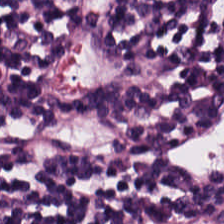Stain: H&E.
Tissue class: lymphocytic infiltrate.
